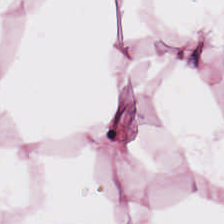224×224 pixel tile. Whole-slide-image patch. H&E-stained tissue section. Q: What is shown here?
A: The field shows adipose tissue.
